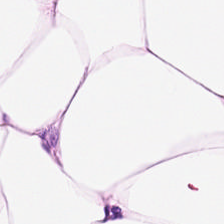Tissue: adipose.
